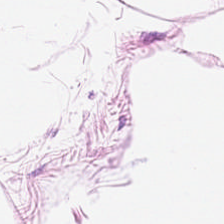Hematoxylin-and-eosin stained section — Q: What tissue is shown?
A: It is adipose.
